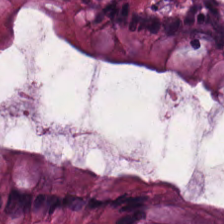H&E-stained tissue section. Tissue class = normal colon mucosa.
